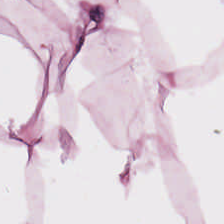H&E-stained tissue section.
Impression — adipose.
